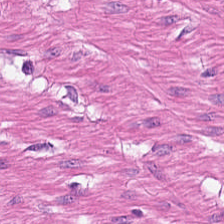H&E. FFPE tissue section. Brightfield microscopy — The predominant tissue is muscularis.
